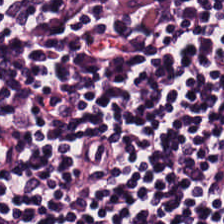224×224 px patch · H&E-stained tissue section.
The classification is lymphoid infiltrate.
